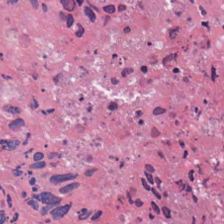The tissue here is cellular debris.
